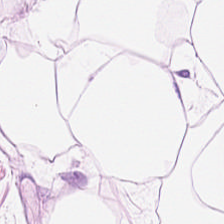Hematoxylin and eosin.
This patch shows fat tissue.
